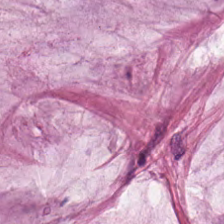H&E. 0.5 µm/px — Histology — mucin.
